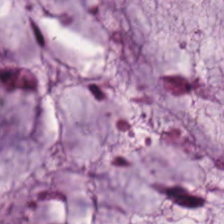Hematoxylin and eosin.
The predominant tissue is extracellular mucin.
